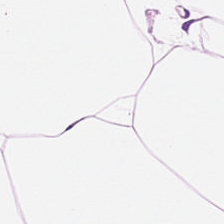H&E stain — This patch shows fat tissue.
